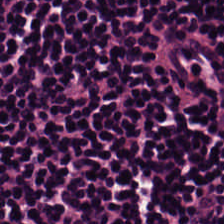H&E-stained tissue section. FFPE tissue section — The tissue type is lymphocyte aggregate.
